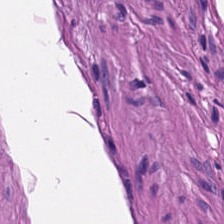Formalin-fixed paraffin-embedded section. H&E stain. Brightfield microscopy.
{"tissue_type": "smooth-muscle tissue"}
